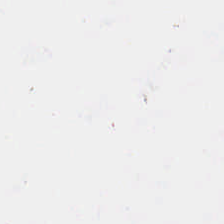Q: Classify this patch.
A: Empty background.
